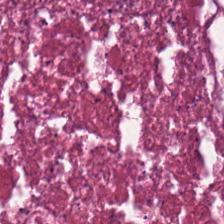Classification — debris.
